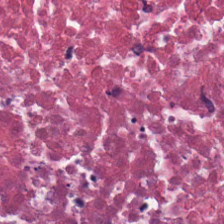Brightfield. Hematoxylin-and-eosin stained section. Q: What tissue type is shown here?
A: It is necrotic debris.
